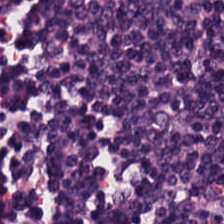Q: What is shown here?
A: Lymphocytes.
